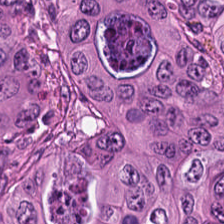Hematoxylin and eosin. 0.5 microns per pixel. FFPE.
Q: What is the predominant tissue type?
A: Colorectal adenocarcinoma.
